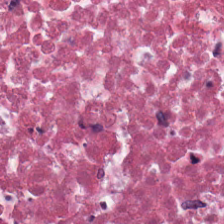Tissue: cellular debris.
